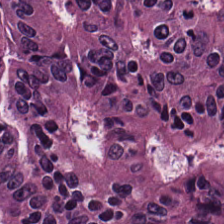Finding → colorectal adenocarcinoma.
